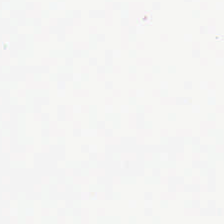224×224 px tile; H&E. The field content is no tissue.
